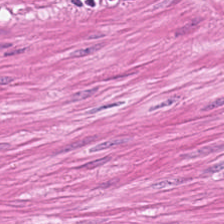H&E — Q: What is the predominant tissue type?
A: The field shows smooth-muscle tissue.
